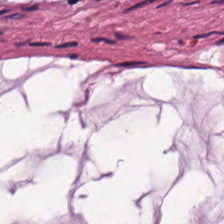Tissue = extracellular mucin.
